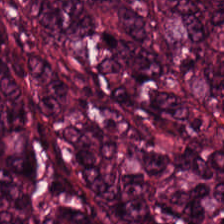Stain: H&E stain.
Acquisition: brightfield.
Tissue: tumor epithelium.
